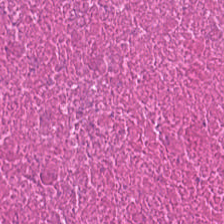Stain: H&E stain.
Acquisition: whole-slide-image patch.
Predominant tissue: debris.
